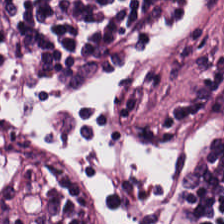224×224 pixel tile · hematoxylin-and-eosin stained section · formalin-fixed paraffin-embedded section. This patch shows lymphoid infiltrate.
